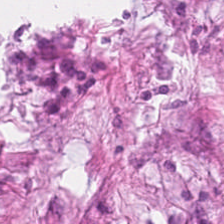Hematoxylin and eosin. FFPE.
Q: Classify this patch.
A: This is tumor-associated stroma.
